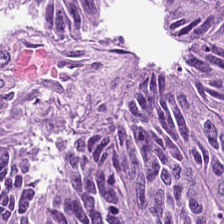Tissue type = colorectal adenocarcinoma.
